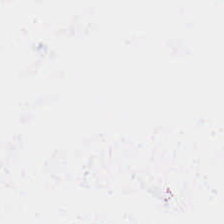H&E stain.
Classification = background.
